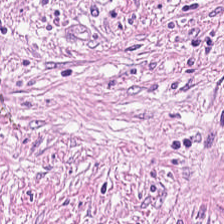Hematoxylin and eosin — The classification is tumor stroma.
